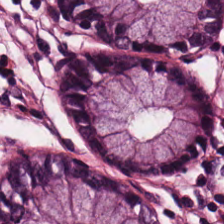H&E patch showing benign colonic mucosa.
